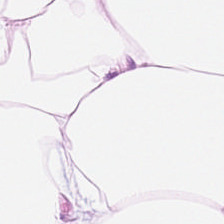H&E stain; 20× equivalent magnification — Fat tissue.
